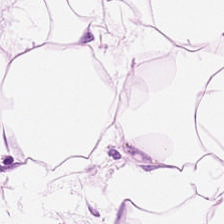Hematoxylin-and-eosin stained section; 0.5 µm per pixel.
Tissue: adipose tissue.
